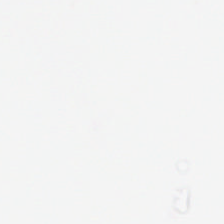Histology → background.
